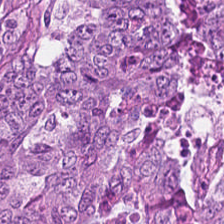Showing colorectal adenocarcinoma.
